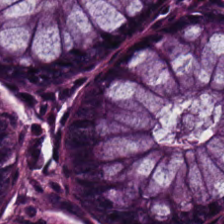0.5 µm/px; 224×224 px tile; hematoxylin and eosin — {"tissue_type": "benign colonic mucosa"}
